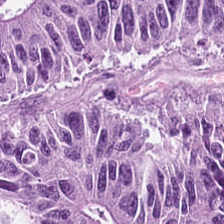H&E-stained tissue section. 0.5 microns per pixel. Formalin-fixed paraffin-embedded section. The tissue here is adenocarcinoma.
